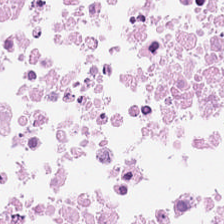Hematoxylin-and-eosin stained section.
Predominant tissue: cellular debris.
